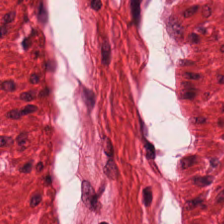H&E — Predominant tissue = smooth-muscle tissue.
